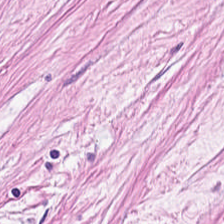FFPE · H&E. Impression — tumor-associated stroma.
